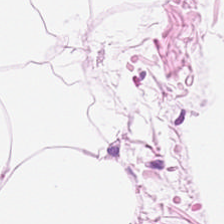Q: What is shown here?
A: Fat tissue.
